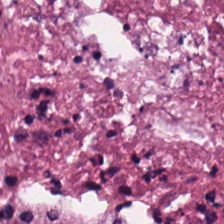H&E stain; WSI patch.
The tissue is debris.
